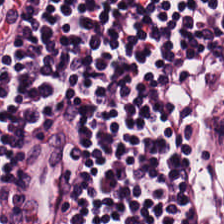H&E — lymphocytic infiltrate.
